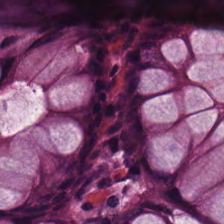Hematoxylin-and-eosin stained section. The predominant tissue is normal colon mucosa.
